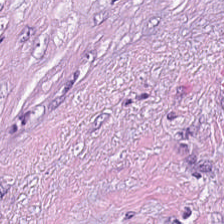Hematoxylin-and-eosin stained section · FFPE tissue section.
Tissue type — cancer-associated stroma.
